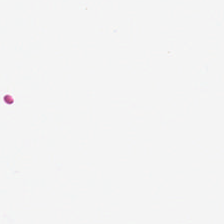Q: What is shown in this field?
A: This is empty background.
